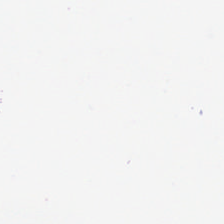Q: What is shown in this field?
A: Background.
